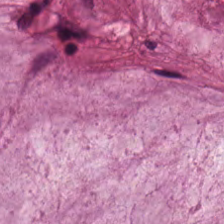224×224 px tile. H&E stain. Brightfield microscopy. Classification — mucus.
